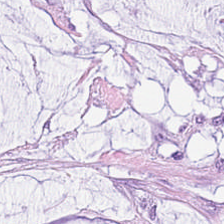H&E-stained section; the field shows extracellular mucin.
